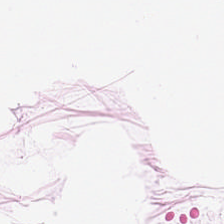The tissue type is adipocytes.
